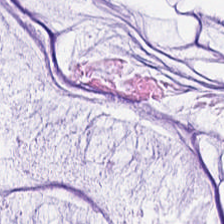Hematoxylin and eosin. 224×224 px tile. Tissue class = mucus.
